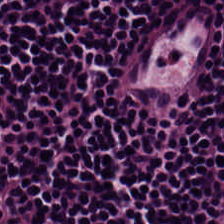Hematoxylin-and-eosin section: lymphocytes.
